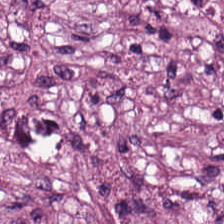Tumor stroma.
